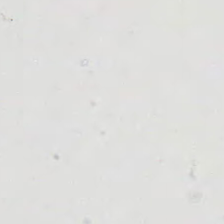Whole-slide-image patch. Hematoxylin and eosin.
Background — no tissue in this field.
